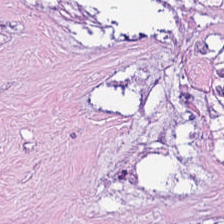Hematoxylin and eosin. 0.5 µm/px. Histology — necrotic debris.
